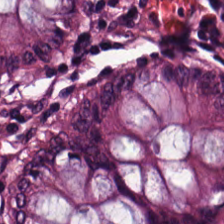H&E — Classification = normal colonic mucosa.
